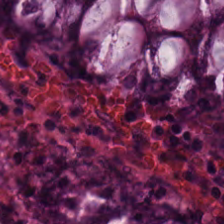Stain: H&E stain.
Tissue type: normal colon mucosa.
